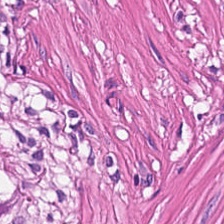H&E stain. {"tissue_type": "smooth-muscle tissue"}
